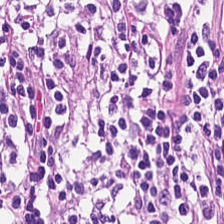Hematoxylin and eosin.
Showing lymphocyte aggregate.
